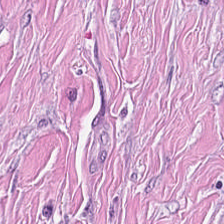Finding — tumor stroma.
